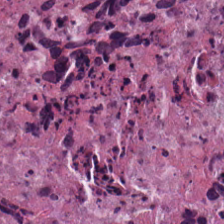WSI patch; FFPE tissue section; H&E-stained tissue section — Predominant tissue: necrotic debris.
